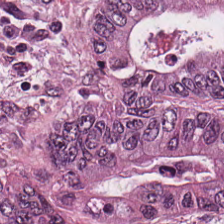Whole-slide-image patch; H&E-stained tissue section — Tumor epithelium.
